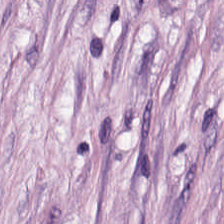0.5 µm/px; FFPE tissue section; H&E stain — Showing desmoplastic stroma.
